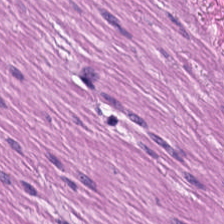H&E stain. Smooth-muscle tissue.
